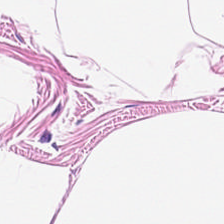Hematoxylin and eosin.
Finding — adipose.
